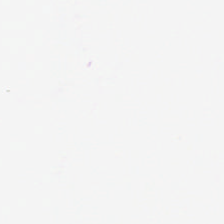Brightfield; hematoxylin-and-eosin stained section; 0.5 microns per pixel.
Classification = background.
